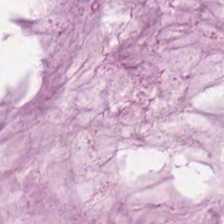Hematoxylin-and-eosin stained section. 0.5 µm/px. Histology — extracellular mucin.
